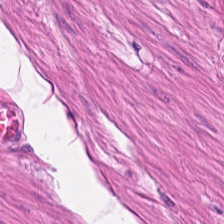Whole-slide-image patch · hematoxylin-and-eosin stained section — Tissue: muscularis.
